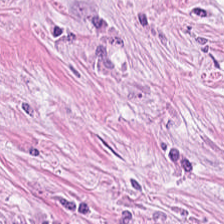224×224 px patch; 0.5 µm per pixel; H&E-stained tissue section.
Showing tumor stroma.
